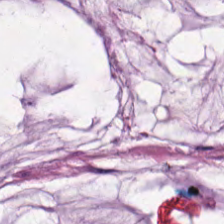224×224 px patch. H&E-stained tissue section.
Impression — mucin.
